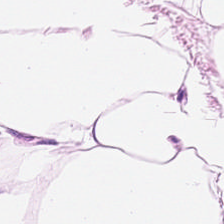Hematoxylin and eosin — Predominantly fat tissue.
